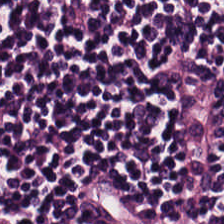224×224 px patch. Hematoxylin and eosin.
Tissue — lymphocytes.
